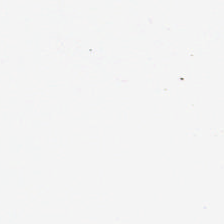H&E.
Background — no tissue in this field.
